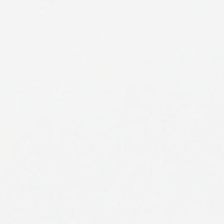H&E-stained tissue section.
The content is background (no tissue).
